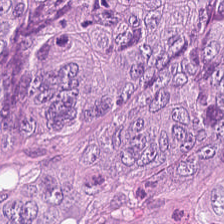Stain: hematoxylin-and-eosin stained section.
Preparation: FFPE.
Tile size: 224×224 px tile.
Tissue class: malignant epithelium.
